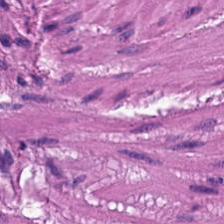Hematoxylin-and-eosin stained section — Predominant tissue — smooth-muscle tissue.
